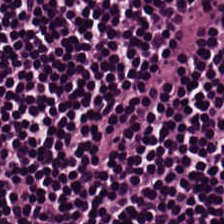H&E — lymphoid infiltrate.
